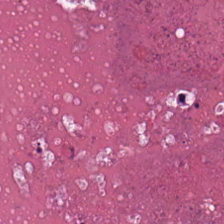Hematoxylin and eosin · 224×224 pixel tile · brightfield.
{"tissue_type": "debris"}
